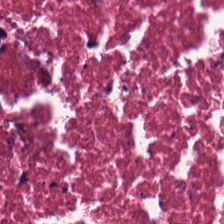This patch shows cellular debris.
